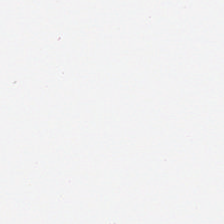H&E-stained tissue section — Q: Classify this patch.
A: It is background (no tissue).
